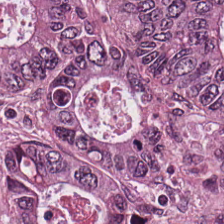H&E stain — Tissue class — colorectal adenocarcinoma epithelium.
